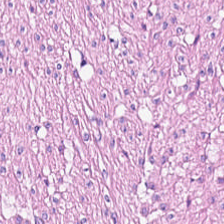Stain: H&E-stained tissue section.
Resolution: 0.5 µm per pixel.
Tile size: 224×224 px tile.
Tissue: smooth muscle.
